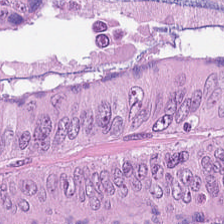Hematoxylin-and-eosin stained section — Tissue type: malignant epithelium.
